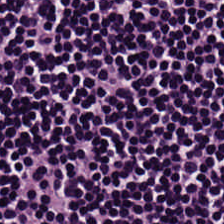0.5 microns per pixel · H&E stain.
Tissue — lymphocytic infiltrate.
